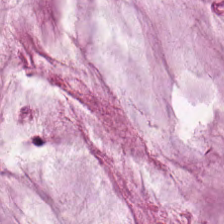Predominant tissue — extracellular mucin.
